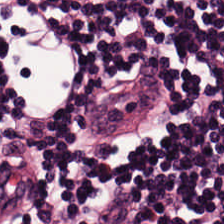224×224 px patch; hematoxylin and eosin.
The predominant tissue is lymphocytes.
